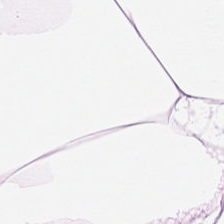H&E-stained section; the field shows adipose tissue.
